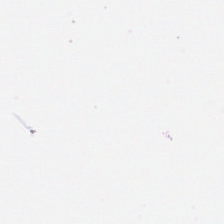No tissue present; background only.
